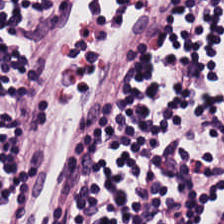{"tissue_type": "lymphocyte aggregate"}
